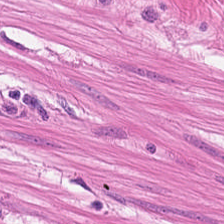Stain: H&E stain.
Preparation: formalin-fixed paraffin-embedded section.
Tile size: 224×224 px tile.
Tissue: smooth muscle.
